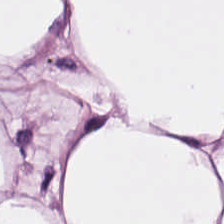H&E-stained tissue section. Adipose.
